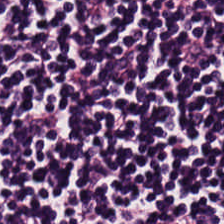H&E stain. Finding → lymphocytes.
